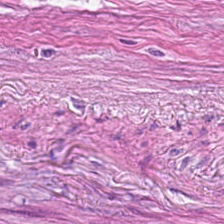H&E stain. The predominant tissue is tumor-associated stroma.
